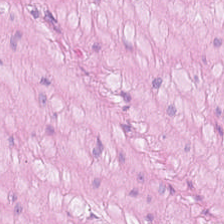H&E-stained tissue section.
The predominant tissue is smooth-muscle tissue.
